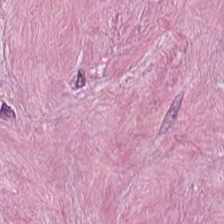224×224 px patch. Hematoxylin and eosin — Impression → tumor stroma.
